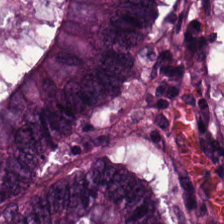Hematoxylin-and-eosin stained section.
Predominantly colorectal adenocarcinoma epithelium.
